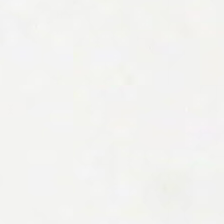Content: no tissue.
